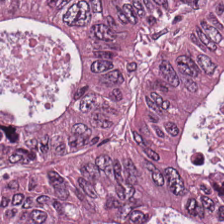20× equivalent magnification · H&E-stained tissue section — The predominant tissue is colorectal adenocarcinoma.
